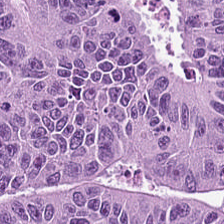Predominantly tumor epithelium.
